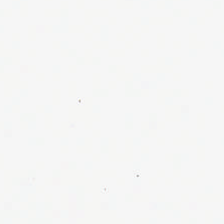Background.
